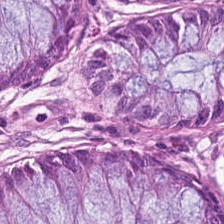H&E-stained tissue section — Histology → normal colonic mucosa.
